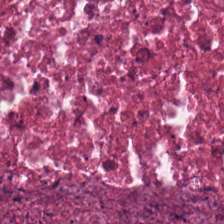H&E.
{"tissue_type": "cellular debris"}
